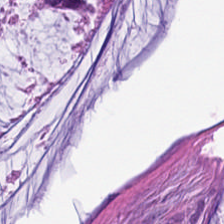Stain: H&E-stained tissue section.
Tissue: extracellular mucin.
